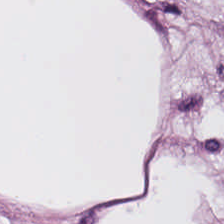Hematoxylin and eosin. This patch shows adipocytes.
